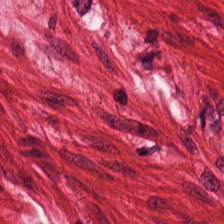Tissue = muscularis.
